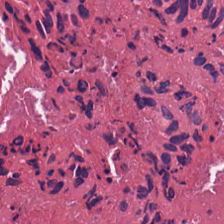H&E. WSI patch. Q: What is shown here?
A: It is necrotic debris.
